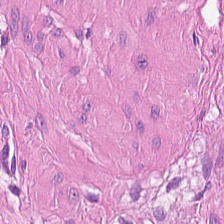H&E stain — This patch shows smooth muscle.
